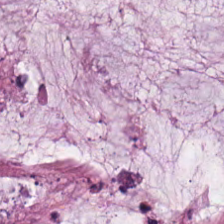Hematoxylin-and-eosin stained section.
This patch shows mucin.
